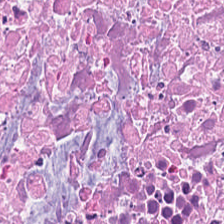H&E-stained tissue section — {"tissue_type": "cellular debris"}
